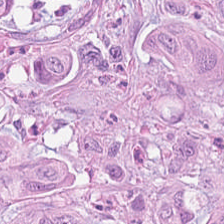H&E stain. 20× equivalent magnification. Predominantly colorectal adenocarcinoma epithelium.
